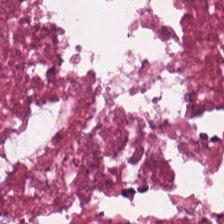20× equivalent magnification; H&E stain.
{"tissue_type": "necrotic debris"}
